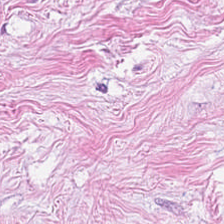Hematoxylin and eosin. Predominantly cancer-associated stroma.
